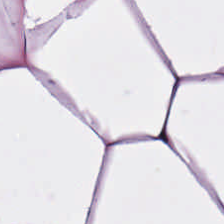Hematoxylin-and-eosin stained section. Histology → adipose.
